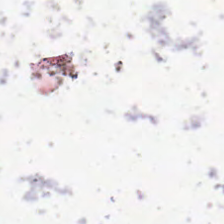Hematoxylin-and-eosin stained section — {"content": "no tissue"}
